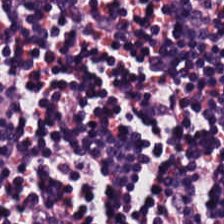H&E. The predominant tissue is lymphocyte aggregate.
